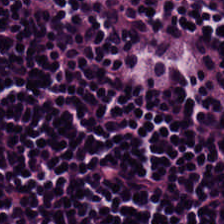Formalin-fixed paraffin-embedded section · 0.5 microns per pixel · H&E-stained tissue section — Tissue class = lymphocytes.
